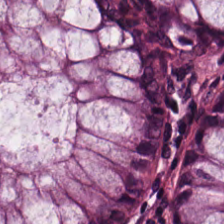Stain: hematoxylin-and-eosin stained section.
Tissue class: non-neoplastic colon mucosa.
